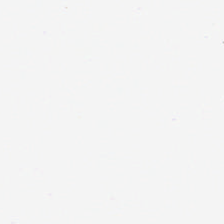H&E-stained tissue section — Q: What is shown here?
A: It is background (no tissue).
